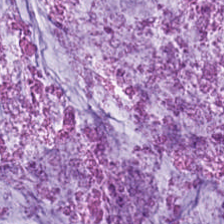Stain: hematoxylin and eosin.
Acquisition: brightfield microscopy.
Tissue type: mucin.
